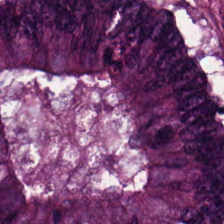H&E.
This field is colorectal adenocarcinoma.
